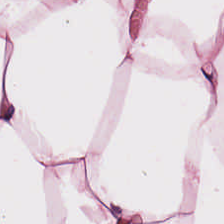0.5 µm/px · whole-slide-image patch · hematoxylin-and-eosin stained section.
Q: What is shown in this field?
A: It is adipocytes.
